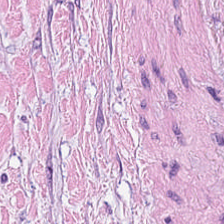Hematoxylin-and-eosin stained section. 0.5 µm/px. Finding — desmoplastic stroma.
